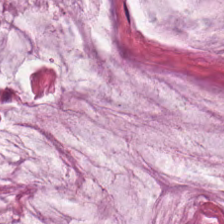Formalin-fixed paraffin-embedded section; H&E-stained tissue section; 224×224 px tile. The predominant tissue is mucus.
